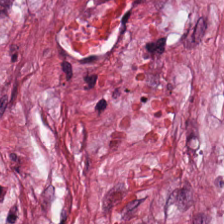H&E. Desmoplastic stroma.
